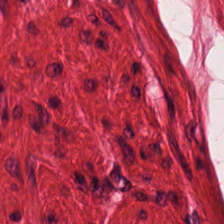0.5 microns per pixel · hematoxylin-and-eosin stained section. Classification: smooth-muscle tissue.
